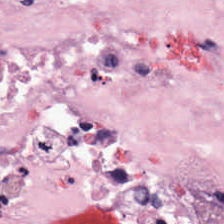Brightfield microscopy; hematoxylin and eosin; 0.5 µm/px.
The predominant tissue is cancer-associated stroma.
